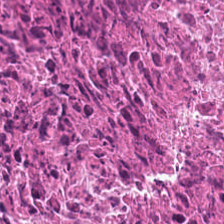H&E stain; 0.5 microns per pixel; formalin-fixed paraffin-embedded section. The predominant tissue is cellular debris.
